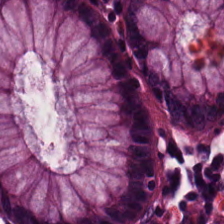Stain: H&E.
Predominant tissue: non-neoplastic colon mucosa.
